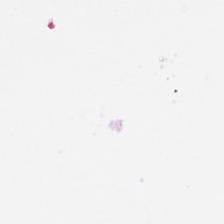WSI patch; formalin-fixed paraffin-embedded section; hematoxylin and eosin — This patch shows background (no tissue).
